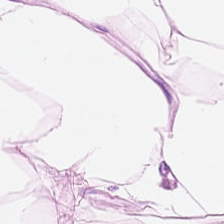Stain: hematoxylin-and-eosin stained section.
Tissue class: adipose.
